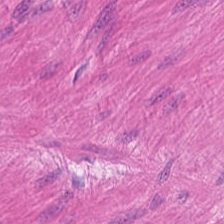H&E stain.
The predominant tissue is smooth-muscle tissue.
